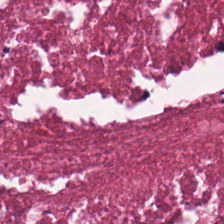Hematoxylin and eosin.
This patch shows necrotic debris.
